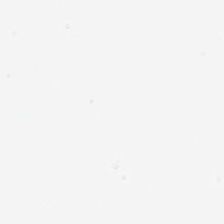FFPE tissue section; H&E stain — The content is no tissue.
